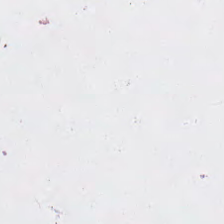H&E-stained tissue section. 224×224 px tile. Whole-slide-image patch — This patch shows no tissue.
